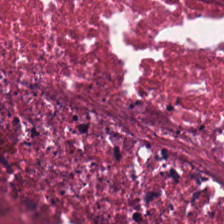Q: What tissue type is shown here?
A: Necrotic debris.
